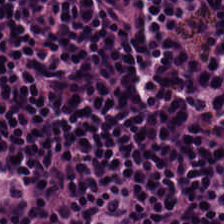H&E stain — Impression → lymphocytes.
